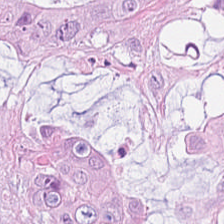Predominant tissue — colorectal adenocarcinoma.
